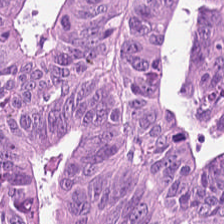224×224 px patch; H&E stain. Tissue class = malignant epithelium.
